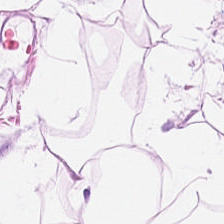H&E-stained tissue section · whole-slide-image patch · 20× equivalent magnification. Predominant tissue — adipose.
